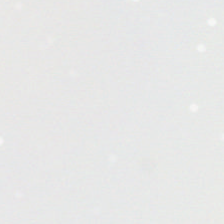H&E. Classification — no tissue.
